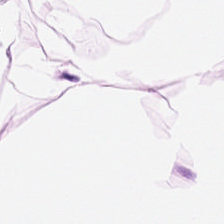H&E; whole-slide-image patch — This patch shows adipocytes.
